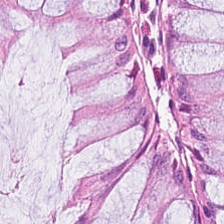This field is normal colon mucosa.
